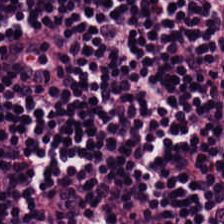Hematoxylin-and-eosin stained section. Showing lymphoid infiltrate.
